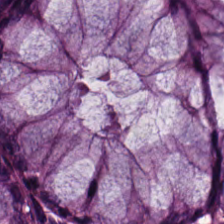Hematoxylin and eosin · WSI patch. Benign colonic mucosa.
